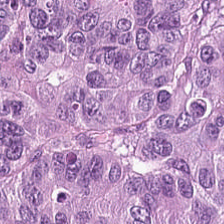Hematoxylin and eosin.
Histology → tumor epithelium.
